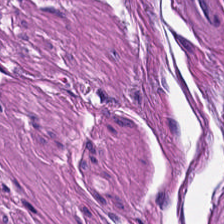H&E stain. Brightfield — Histology — muscularis.
